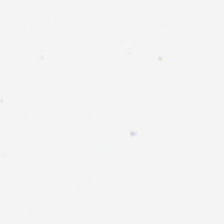Hematoxylin-and-eosin stained section.
Q: What does this patch show?
A: It is empty background.
